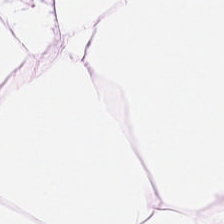20× equivalent magnification · whole-slide-image patch · H&E-stained tissue section — Predominant tissue: adipose tissue.
